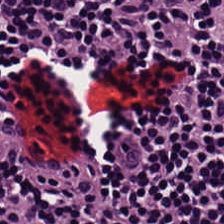Hematoxylin and eosin.
Lymphocyte aggregate.
